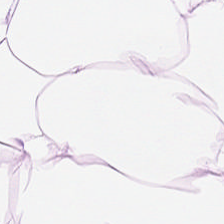H&E stain.
Adipose tissue.
